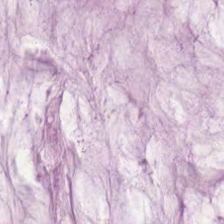H&E · formalin-fixed paraffin-embedded section · brightfield microscopy. Tissue: mucus.
